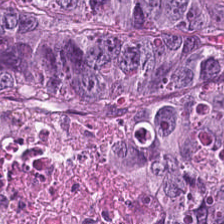Stain: hematoxylin and eosin.
Preparation: FFPE.
Classification: malignant epithelium.
